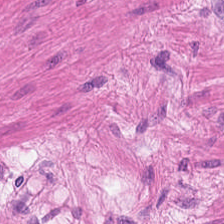H&E stain. {"tissue_type": "muscularis"}
